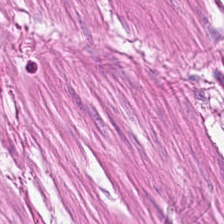H&E stain. Muscularis.
